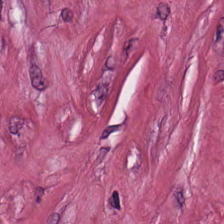Predominantly tumor stroma.
